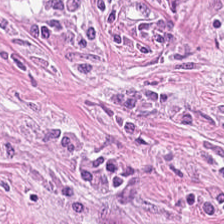H&E stain — Tumor-associated stroma.
